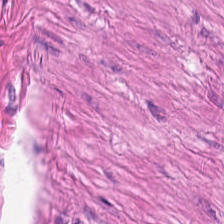0.5 µm/px; H&E stain; whole-slide-image patch — Q: What is the predominant tissue type?
A: This is smooth muscle.
